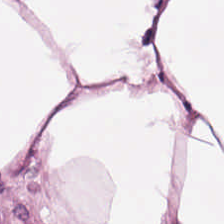H&E stain.
This patch shows adipocytes.
